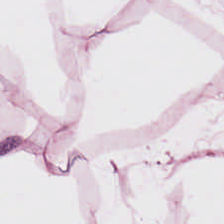H&E — This patch shows fat tissue.
